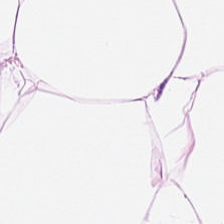H&E — Finding — fat tissue.
